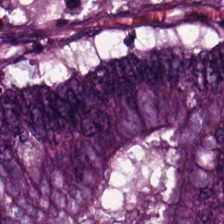Hematoxylin and eosin — Predominant tissue = malignant epithelium.
